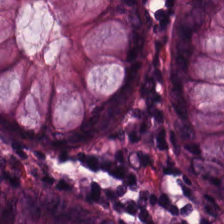Stain: hematoxylin and eosin.
Tile size: 224×224 pixel tile.
Resolution: 20× equivalent magnification.
Predominant tissue: non-neoplastic colon mucosa.
